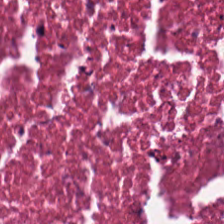Brightfield; H&E.
Tissue type = necrotic debris.
